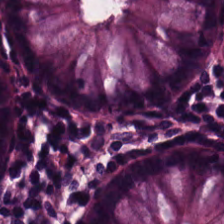0.5 microns per pixel; H&E. Histology → normal colon mucosa.
